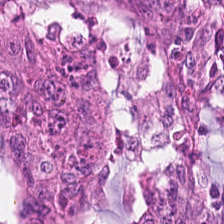Hematoxylin and eosin. Tissue class: colorectal adenocarcinoma epithelium.
